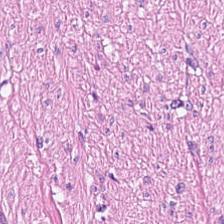0.5 microns per pixel · hematoxylin-and-eosin stained section · 224×224 pixel tile — This patch shows smooth muscle.
